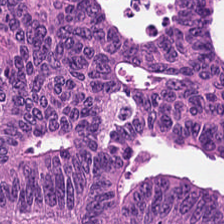H&E-stained tissue section. Tissue — adenocarcinoma.
